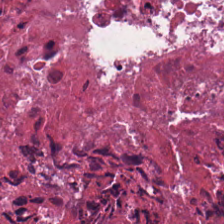Stain: H&E-stained tissue section.
Classification: cellular debris.
